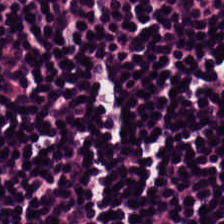Hematoxylin-and-eosin stained section.
Lymphocytes.
